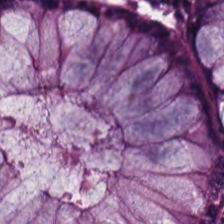H&E-stained tissue section — The predominant tissue is normal colon mucosa.
